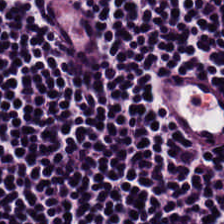H&E-stained tissue section; WSI patch. Histology — lymphocyte aggregate.
